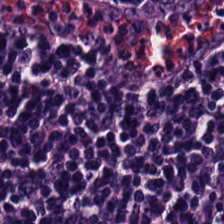Hematoxylin-and-eosin stained section · FFPE tissue section. Q: What tissue is shown?
A: It is lymphocyte aggregate.
